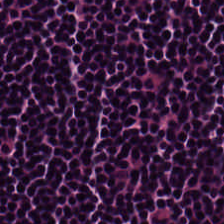H&E stain — Finding → lymphocytic infiltrate.
